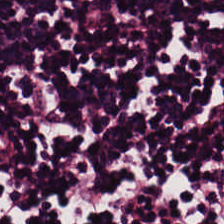H&E.
Predominantly lymphocytic infiltrate.
